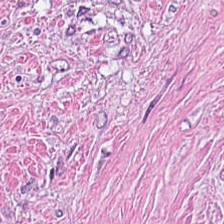H&E-stained tissue section. Histology — cancer-associated stroma.
